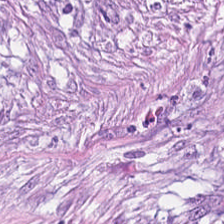0.5 µm per pixel · hematoxylin and eosin.
{"tissue_type": "tumor-associated stroma"}
